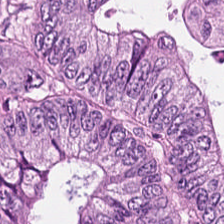Tissue — colorectal adenocarcinoma epithelium.
